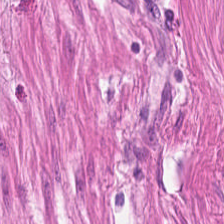Hematoxylin and eosin — {"tissue_type": "muscularis"}
